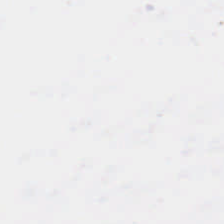Stain: hematoxylin and eosin.
Field content: empty background.
